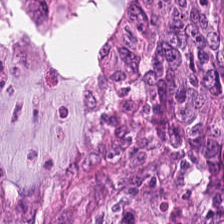H&E — tumor epithelium.
